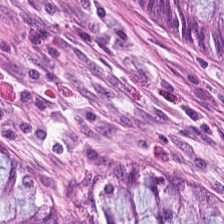Hematoxylin and eosin.
Q: What is shown in this field?
A: It is normal colonic mucosa.
